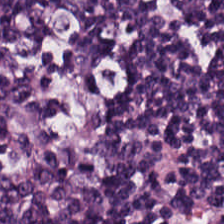Hematoxylin and eosin. Q: What is the predominant tissue type?
A: This is lymphocytic infiltrate.
